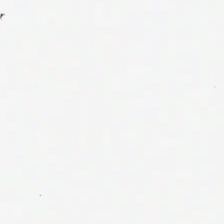Q: What is shown here?
A: The field shows no tissue.
